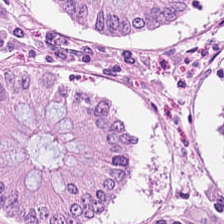Brightfield microscopy. H&E stain.
The predominant tissue is benign colonic mucosa.
